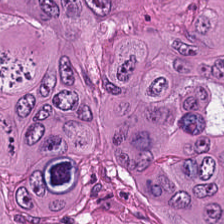Hematoxylin-and-eosin stained section. Predominant tissue = tumor epithelium.
